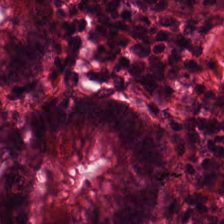This field is non-neoplastic colon mucosa.
